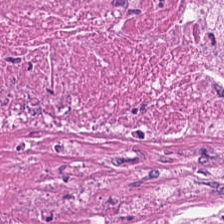Hematoxylin-and-eosin stained section — {"tissue_type": "necrotic debris"}
